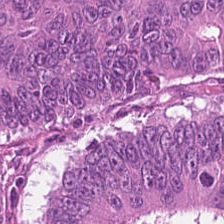H&E-stained tissue section. 224×224 px patch.
Classification = colorectal adenocarcinoma epithelium.
